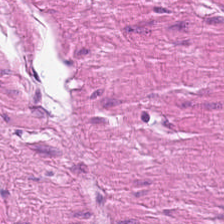Histology — smooth muscle.
